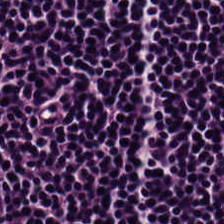Whole-slide-image patch. H&E. {"tissue_type": "lymphocytic infiltrate"}
